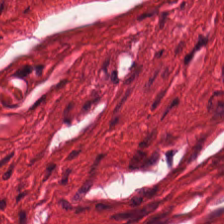H&E-stained tissue section. Predominant tissue — smooth-muscle tissue.
